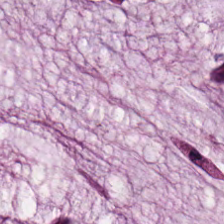The predominant tissue is mucin.
